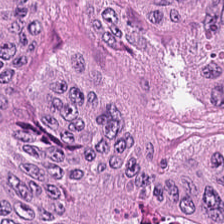Hematoxylin-and-eosin stained section · 224×224 pixel tile — This patch shows malignant epithelium.
